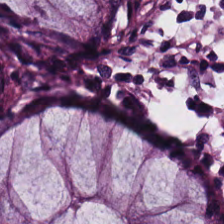Hematoxylin-and-eosin stained section. This patch shows benign colonic mucosa.
